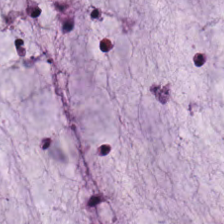Hematoxylin and eosin. Brightfield microscopy. 0.5 microns per pixel.
Q: What is shown here?
A: This is mucus.
